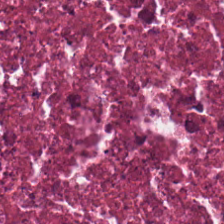FFPE. Hematoxylin and eosin — Impression — debris.
